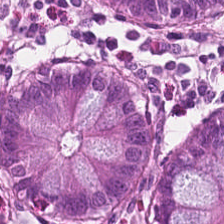H&E-stained tissue section. 224×224 px patch.
Non-neoplastic colon mucosa.
